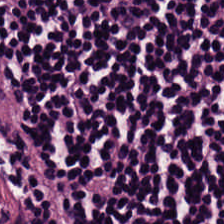Stain: H&E.
Classification: lymphocytic infiltrate.
